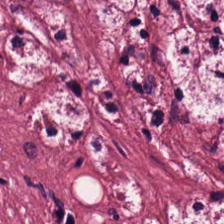Stain: H&E stain.
Predominant tissue: cancer-associated stroma.
